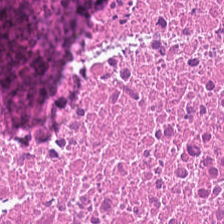Hematoxylin-and-eosin stained section. Whole-slide-image patch. Q: What tissue is shown?
A: This is debris.
